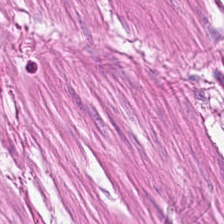Stain: H&E stain.
Classification: smooth muscle.
